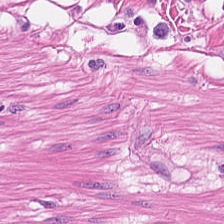FFPE tissue section. Hematoxylin-and-eosin stained section. 224×224 px patch — Histology — muscularis.
